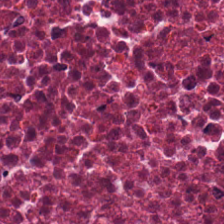Stain: H&E.
Tissue: cellular debris.
